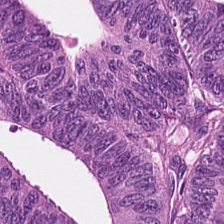0.5 µm/px; H&E stain. Tissue type = colorectal adenocarcinoma epithelium.
